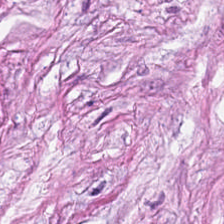Hematoxylin and eosin. 224×224 px patch. 20× equivalent magnification — Histology → desmoplastic stroma.
